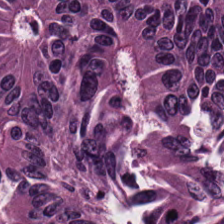Hematoxylin-and-eosin stained section. Finding — tumor epithelium.
